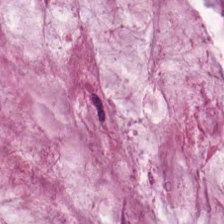H&E · whole-slide-image patch · FFPE. This patch shows extracellular mucin.
